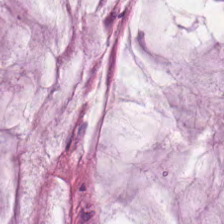The predominant tissue is mucus.
